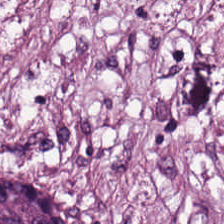224×224 px tile. H&E-stained tissue section. Predominantly desmoplastic stroma.
